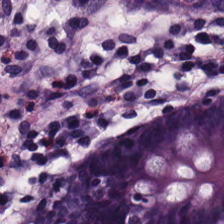Hematoxylin-and-eosin stained section; 224×224 px patch.
Tissue type = non-neoplastic colon mucosa.
